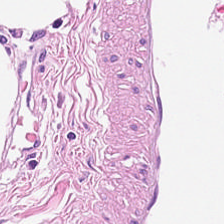H&E.
Predominantly adipose tissue.
